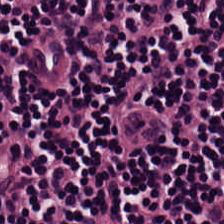H&E. Tissue = lymphocytes.
